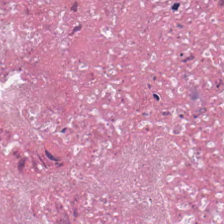Hematoxylin-and-eosin stained section · FFPE tissue section.
Classification: cellular debris.
